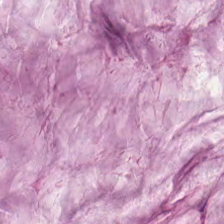Brightfield. Hematoxylin and eosin. 0.5 microns per pixel.
The classification is mucus.
